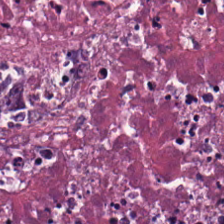Tissue type: cellular debris.
